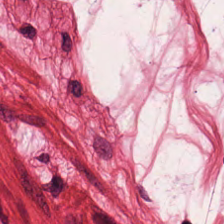H&E. FFPE tissue section. WSI patch — The tissue here is smooth muscle.
